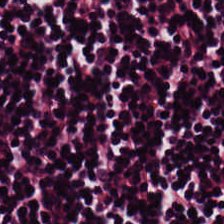Histology — lymphoid infiltrate.
